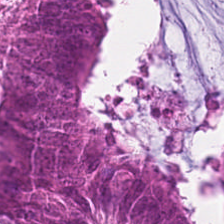H&E — Impression → malignant epithelium.
